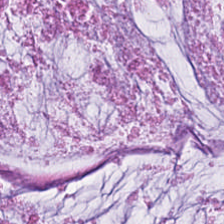This field is mucus.
